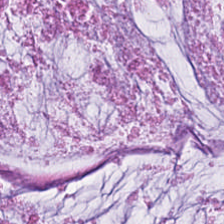This field is mucus.
